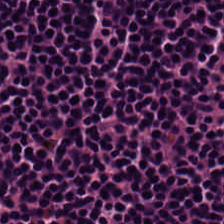{"tissue_type": "lymphocytic infiltrate"}
